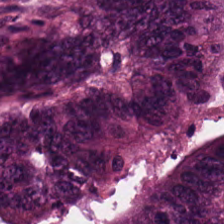Stain: hematoxylin and eosin.
Preparation: FFPE tissue section.
Tile size: 224×224 px tile.
Tissue: colorectal adenocarcinoma.
